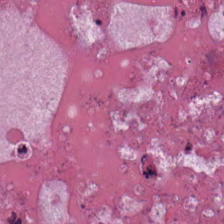0.5 microns per pixel · hematoxylin-and-eosin stained section — Q: What does this patch show?
A: The field shows cellular debris.
